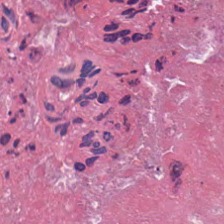Hematoxylin-and-eosin stained section. Showing debris.
